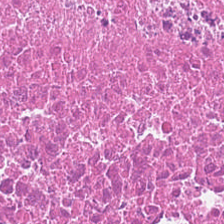Predominant tissue — debris.
